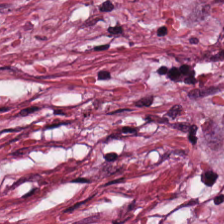Hematoxylin and eosin; 224×224 px patch. Tumor stroma.
